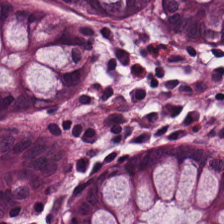Hematoxylin-and-eosin stained section — Predominantly normal colon mucosa.
